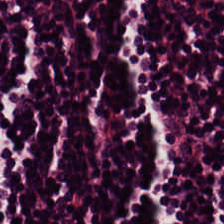Hematoxylin-and-eosin stained section.
{"tissue_type": "lymphocyte aggregate"}
